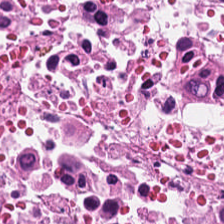Hematoxylin and eosin; 224×224 px tile. Predominantly cellular debris.
